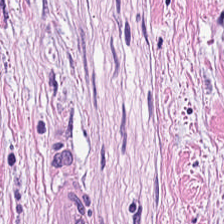Predominantly tumor-associated stroma.
